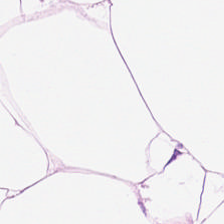Hematoxylin-and-eosin stained section. Fat tissue.
